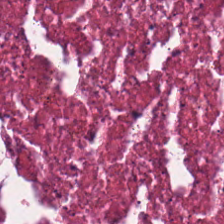H&E-stained tissue section — Q: What is shown in this field?
A: The field shows debris.
